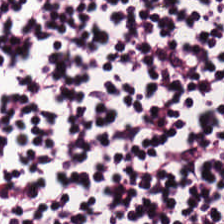Hematoxylin-and-eosin stained section — Showing lymphocyte aggregate.
